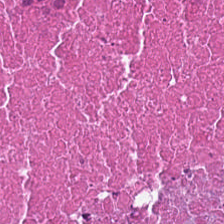Tissue class = cellular debris.
